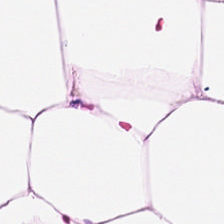H&E-stained tissue section — The predominant tissue is adipose.
